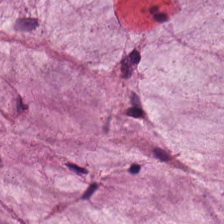H&E-stained tissue section; 0.5 µm/px. Tissue type: mucus.
